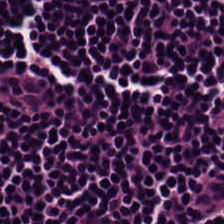Stain: hematoxylin-and-eosin stained section.
Predominant tissue: lymphoid infiltrate.
